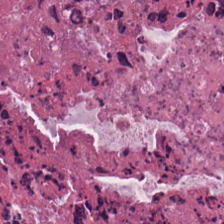H&E stain. Brightfield. Impression → cellular debris.
